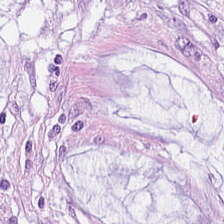Hematoxylin and eosin. FFPE tissue section.
The classification is extracellular mucin.
